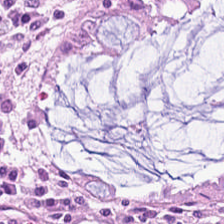Hematoxylin-and-eosin stained section. Q: What is shown in this field?
A: This is normal colon mucosa.
